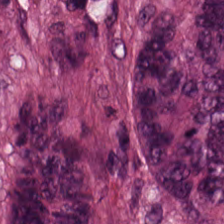H&E stain · 224×224 px tile.
Tissue class: adenocarcinoma.
